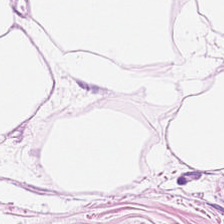0.5 microns per pixel. Hematoxylin and eosin. 224×224 px patch — Histology — adipose tissue.
